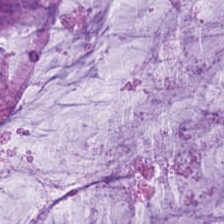Hematoxylin and eosin. Tissue: extracellular mucin.
